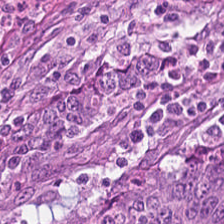Tissue class = colorectal adenocarcinoma.
